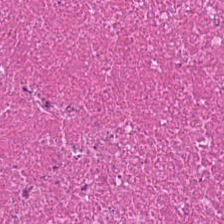Formalin-fixed paraffin-embedded section · H&E. Showing debris.
